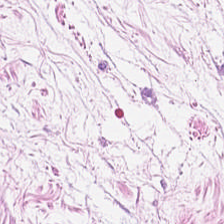H&E. The tissue type is adipose tissue.
